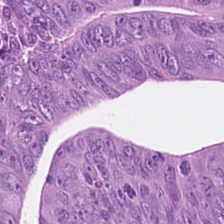H&E-stained tissue section showing colorectal adenocarcinoma epithelium.
